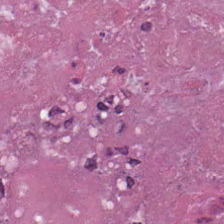H&E.
Q: What is shown here?
A: It is necrotic debris.
